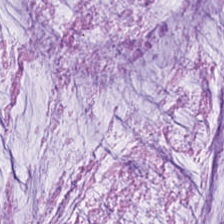{"tissue_type": "extracellular mucin"}
